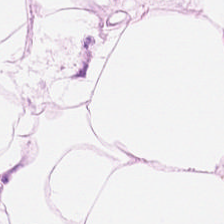H&E stain — Adipose tissue.
